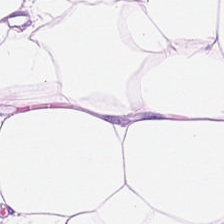20× equivalent magnification. FFPE. H&E-stained tissue section.
Q: What is shown in this field?
A: Adipose tissue.
